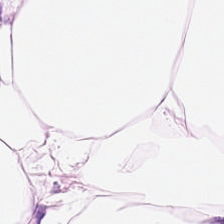H&E.
Impression → adipocytes.
